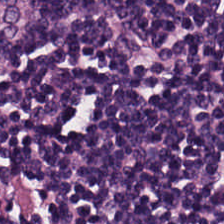Hematoxylin and eosin. Tissue type — lymphocyte aggregate.
